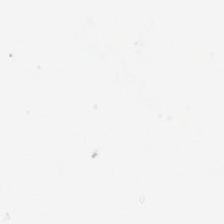{"content": "background (no tissue)"}
